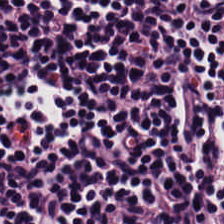H&E stain. Predominant tissue = lymphoid infiltrate.
